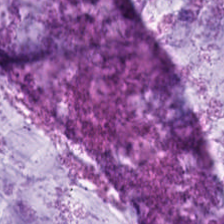Stain: hematoxylin-and-eosin stained section.
Classification: mucus.
